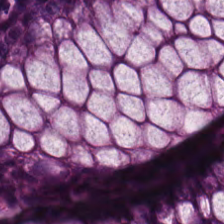Hematoxylin-and-eosin stained section. {"tissue_type": "normal colon mucosa"}
